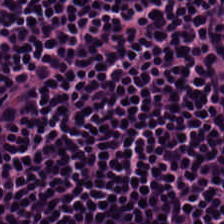H&E-stained tissue section; 20× equivalent magnification.
This field is lymphocyte aggregate.
